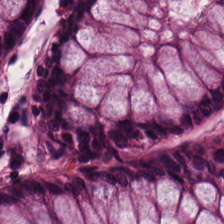H&E-stained tissue section.
Histology → non-neoplastic colon mucosa.
